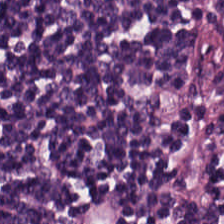Predominant tissue — lymphocytic infiltrate.
